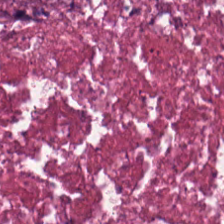Hematoxylin-and-eosin stained section. Showing debris.
